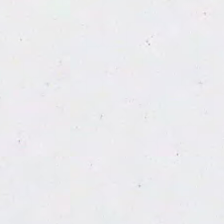H&E-stained tissue section · formalin-fixed paraffin-embedded section · 224×224 px patch.
This field is background (no tissue).
